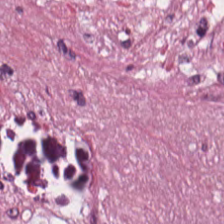224×224 px patch. H&E stain. 20× equivalent magnification — Tissue class: tumor stroma.
